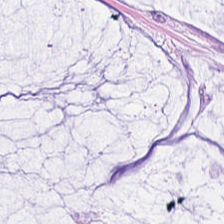H&E-stained tissue section. {"tissue_type": "extracellular mucin"}
